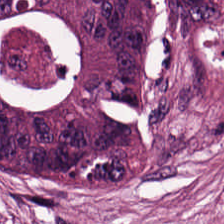Hematoxylin and eosin — Showing colorectal adenocarcinoma epithelium.
